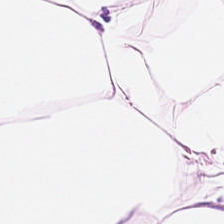Hematoxylin and eosin; WSI patch — Tissue class = adipose.
